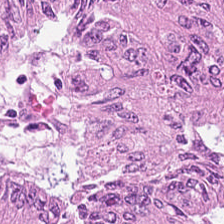Hematoxylin and eosin. Impression → colorectal adenocarcinoma.
